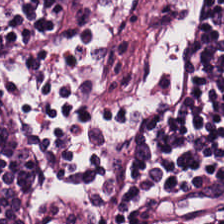H&E stain. 224×224 px patch. Tissue = lymphocyte aggregate.
